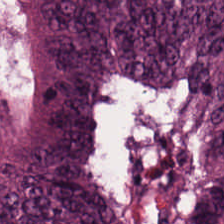This patch shows colorectal adenocarcinoma epithelium.
